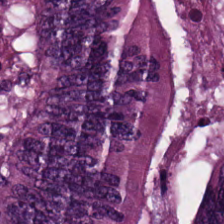H&E stain · WSI patch. Finding — malignant epithelium.
